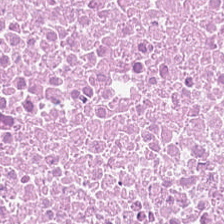H&E — Classification — debris.
